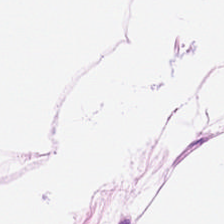Stain: hematoxylin and eosin.
Preparation: FFPE.
Resolution: 20× equivalent magnification.
Predominant tissue: fat tissue.
